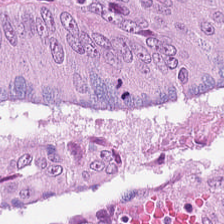H&E stain; formalin-fixed paraffin-embedded section — Tissue class — tumor epithelium.
